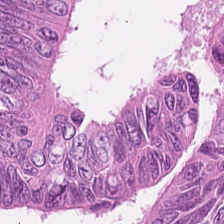224×224 px patch. H&E-stained tissue section.
The predominant tissue is colorectal adenocarcinoma.
